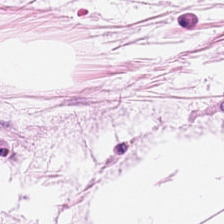H&E-stained tissue section showing adipocytes.
